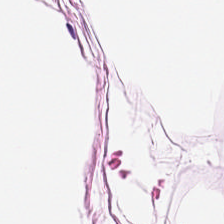Hematoxylin and eosin. Impression → adipose tissue.
